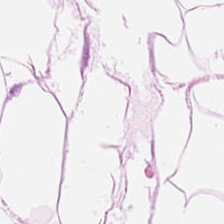0.5 microns per pixel · H&E stain.
Finding → adipose tissue.
